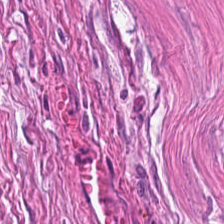H&E — Predominant tissue: smooth-muscle tissue.
